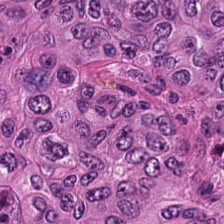224×224 px tile; formalin-fixed paraffin-embedded section; H&E-stained tissue section — Showing colorectal adenocarcinoma.
